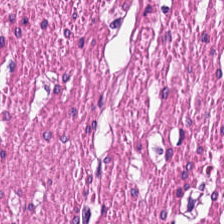0.5 µm per pixel. H&E stain — Q: What does this patch show?
A: This is smooth-muscle tissue.
